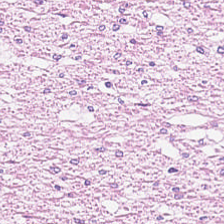Hematoxylin-and-eosin stained section. Classification = muscularis.
